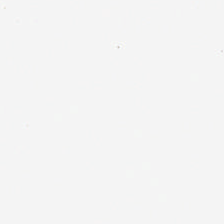H&E · whole-slide-image patch. Classification: no tissue.
